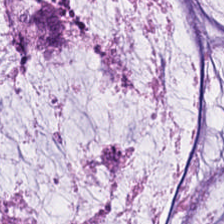H&E stain. Histology — extracellular mucin.
